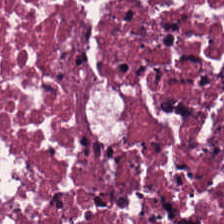H&E — {"tissue_type": "necrotic debris"}
